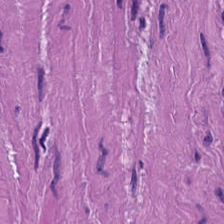Histology → smooth-muscle tissue.
